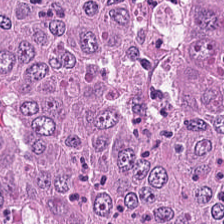Hematoxylin-and-eosin stained section — Tissue class = colorectal adenocarcinoma epithelium.
